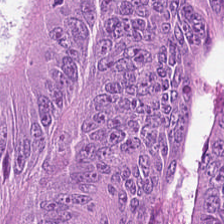Hematoxylin and eosin — Showing adenocarcinoma.
